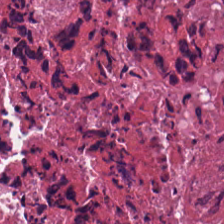Formalin-fixed paraffin-embedded section. H&E stain.
The tissue here is cellular debris.
